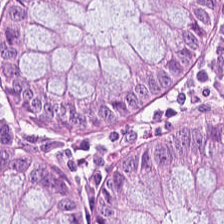H&E-stained tissue section. 20× equivalent magnification. Brightfield — This patch shows normal colon mucosa.
